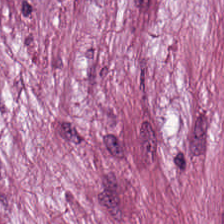Hematoxylin-and-eosin stained section.
Impression → tumor stroma.
